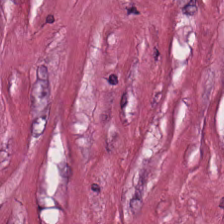Whole-slide-image patch. Hematoxylin-and-eosin stained section — {"tissue_type": "tumor stroma"}
